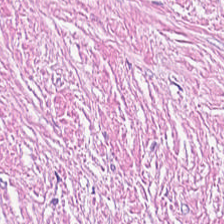H&E stain. FFPE tissue section.
The predominant tissue is desmoplastic stroma.
